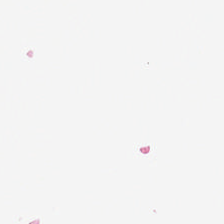This field is background (no tissue).
